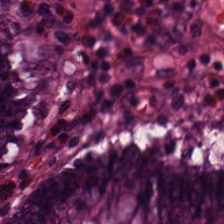0.5 µm/px · hematoxylin and eosin · FFPE tissue section — The tissue class is non-neoplastic colon mucosa.
